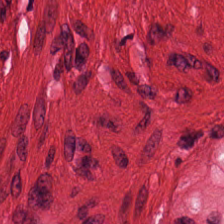FFPE tissue section; H&E-stained tissue section — {"tissue_type": "smooth muscle"}
